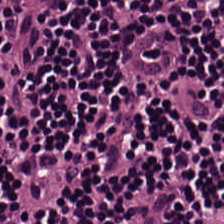Hematoxylin and eosin.
The predominant tissue is lymphocyte aggregate.
